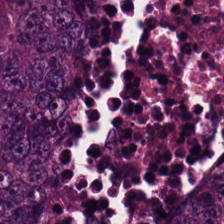Hematoxylin-and-eosin stained section. 20× equivalent magnification. Predominantly colorectal adenocarcinoma.
